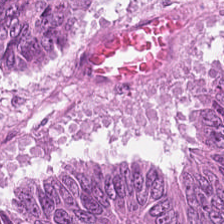Hematoxylin and eosin.
The tissue class is adenocarcinoma.
